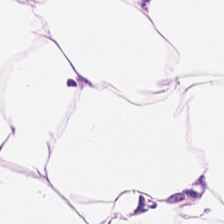H&E-stained section; the field shows adipose.
